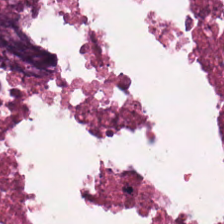H&E-stained tissue section.
Impression — cellular debris.
